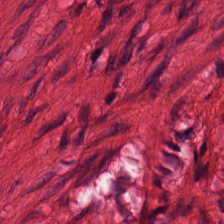{"tissue_type": "smooth muscle"}
